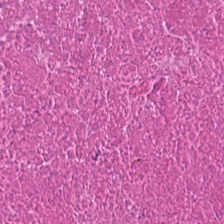Finding → cellular debris.
